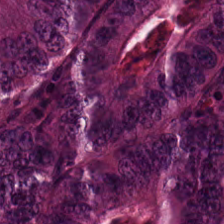H&E stain · 224×224 pixel tile — Showing malignant epithelium.
